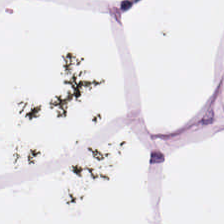224×224 pixel tile · H&E. Adipose tissue.
